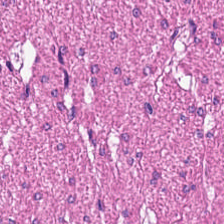Q: What does this patch show?
A: It is smooth muscle.
